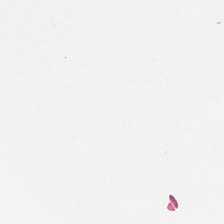Hematoxylin-and-eosin stained section. Brightfield. 224×224 px patch.
No tissue present; background only.
